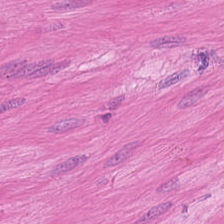224×224 pixel tile; FFPE tissue section; H&E. Classification — smooth-muscle tissue.
